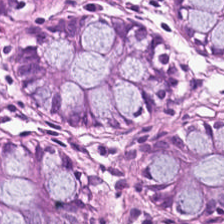Predominant tissue = normal colonic mucosa.
